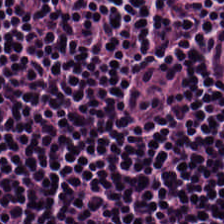Stain: hematoxylin and eosin.
Tissue class: lymphocyte aggregate.
